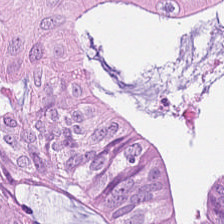H&E patch showing adenocarcinoma.
